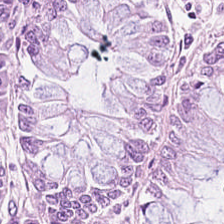Q: What tissue is shown?
A: Benign colonic mucosa.
